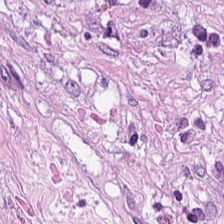H&E. This field is desmoplastic stroma.
